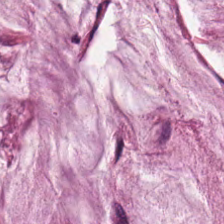Hematoxylin-and-eosin stained section. 224×224 px patch. Tissue type — mucus.
